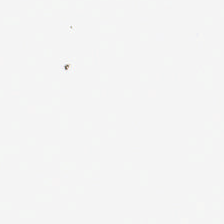Hematoxylin-and-eosin stained section — No tissue present; background only.
